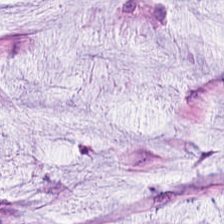Hematoxylin-and-eosin stained section. This field is mucin.
